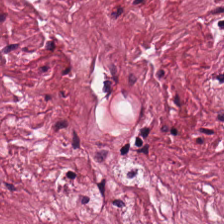Q: What type of tissue is this?
A: It is cancer-associated stroma.
